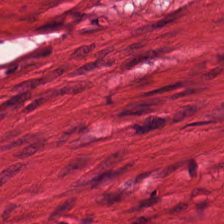Hematoxylin-and-eosin stained section — {"tissue_type": "smooth muscle"}
